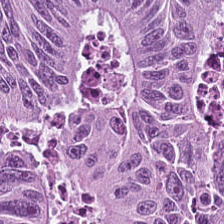FFPE tissue section; hematoxylin and eosin; 224×224 px patch. Adenocarcinoma.
